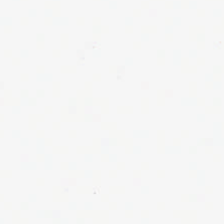H&E-stained tissue section. WSI patch. Formalin-fixed paraffin-embedded section. The classification is background.
